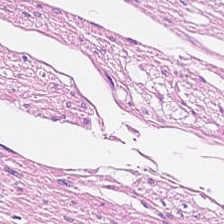Hematoxylin-and-eosin stained section — Impression → muscularis.
